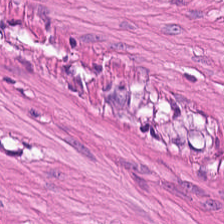H&E · formalin-fixed paraffin-embedded section.
The predominant tissue is muscularis.
